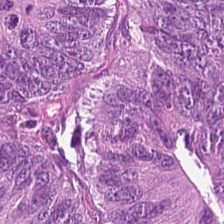H&E stain. Showing tumor epithelium.
